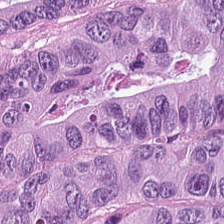Histology — colorectal adenocarcinoma epithelium.
